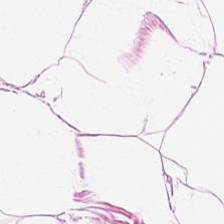0.5 µm per pixel. H&E. FFPE. {"tissue_type": "fat tissue"}
